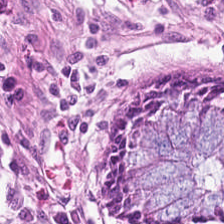Stain: H&E stain.
Tissue type: non-neoplastic colon mucosa.
